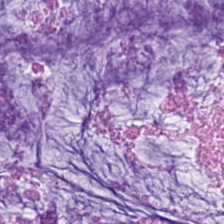Stain: H&E.
Tissue type: mucin.
